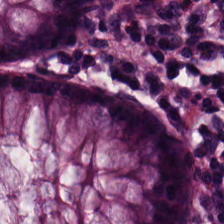Stain: H&E stain.
Predominant tissue: benign colonic mucosa.
